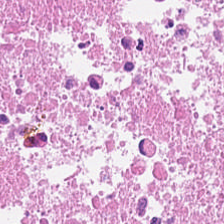H&E. Tissue — debris.
